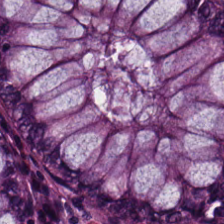Hematoxylin and eosin; whole-slide-image patch; FFPE tissue section. This patch shows normal colonic mucosa.
